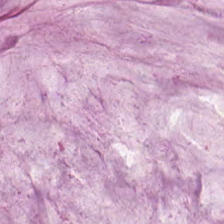H&E; 0.5 µm/px.
Extracellular mucin.
